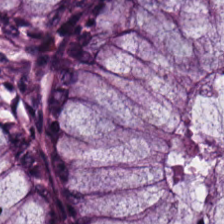The predominant tissue is normal colonic mucosa.
